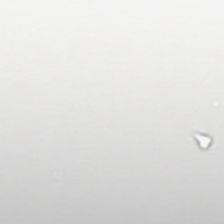Stain: hematoxylin-and-eosin stained section.
Preparation: FFPE.
Content: no tissue.
